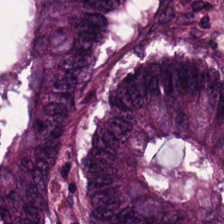H&E. 20× equivalent magnification. Q: Identify the tissue.
A: The field shows adenocarcinoma.
